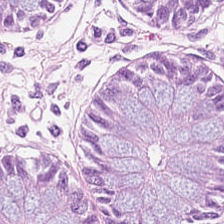Stain: H&E stain.
Preparation: FFPE.
Tissue type: non-neoplastic colon mucosa.
